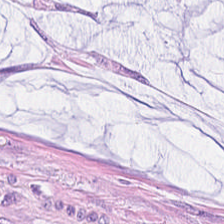H&E — mucin.
